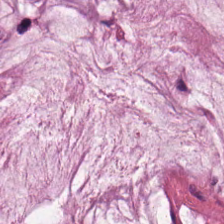224×224 pixel tile · H&E — Finding — extracellular mucin.
